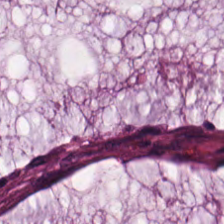0.5 µm per pixel · formalin-fixed paraffin-embedded section · hematoxylin and eosin — Tissue class — mucin.
